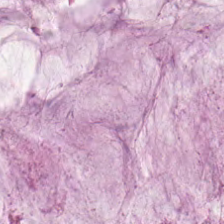H&E stain · 0.5 µm/px · brightfield.
Histology → mucus.
